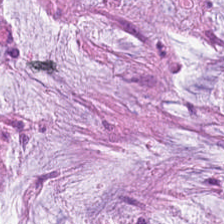H&E stain. Tissue class — mucin.
